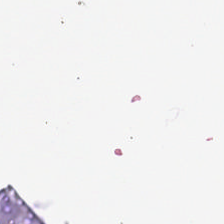H&E stain; 224×224 px patch; 0.5 µm/px — Empty field — background (no tissue).
